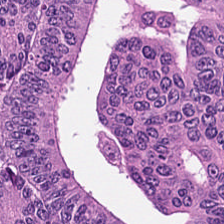Stain: H&E.
Acquisition: brightfield.
Tissue type: malignant epithelium.
